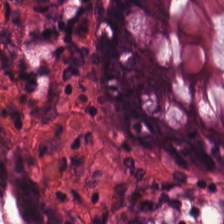Hematoxylin-and-eosin stained section. 224×224 px patch — The tissue here is benign colonic mucosa.
